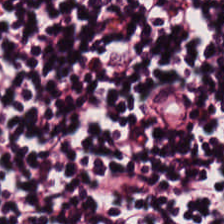Hematoxylin and eosin. Tissue type — lymphocytes.
